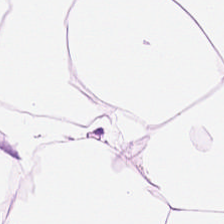Hematoxylin-and-eosin stained section.
Q: What tissue type is shown here?
A: This is adipose.
